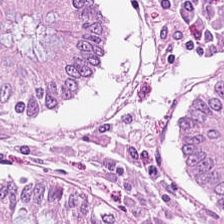Q: What is shown in this field?
A: This is normal colonic mucosa.
